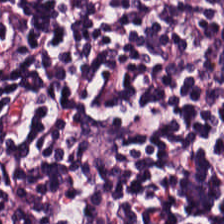Whole-slide-image patch; H&E; FFPE.
The predominant tissue is lymphocyte aggregate.
